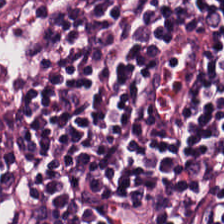{"tissue_type": "lymphocyte aggregate"}
